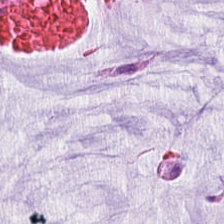H&E-stained tissue section — This field is mucus.
